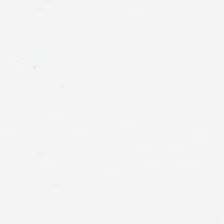Hematoxylin and eosin.
Background.
